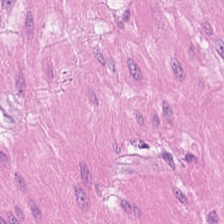Hematoxylin and eosin; 224×224 pixel tile. Q: What is shown in this field?
A: This is muscularis.
